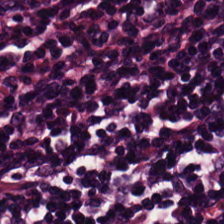Brightfield microscopy. Hematoxylin-and-eosin stained section.
Finding — lymphocytes.
